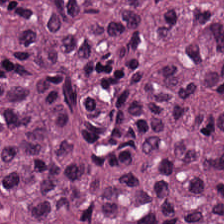H&E-stained tissue section.
Predominant tissue: adenocarcinoma.
